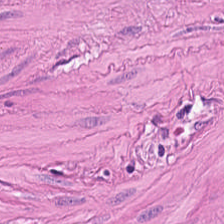Hematoxylin-and-eosin stained section · 0.5 µm/px — This patch shows smooth-muscle tissue.
